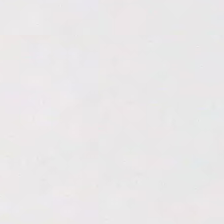H&E stain; FFPE tissue section; WSI patch. The content is background (no tissue).
